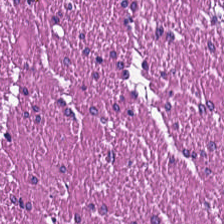224×224 px tile. FFPE tissue section. Hematoxylin-and-eosin stained section — The tissue class is smooth-muscle tissue.
